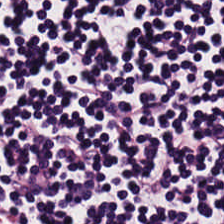H&E — The predominant tissue is lymphoid infiltrate.
